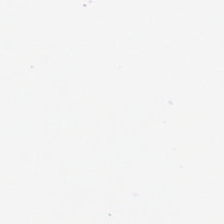Stain: hematoxylin-and-eosin stained section.
Tile size: 224×224 px patch.
Preparation: FFPE.
Content: background.
